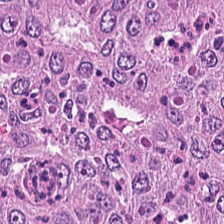Hematoxylin and eosin. Impression — tumor epithelium.
